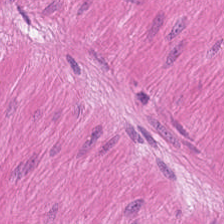Hematoxylin and eosin. 224×224 px patch. Impression — smooth-muscle tissue.
